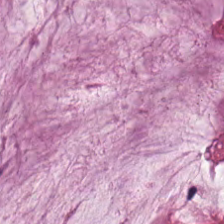Hematoxylin-and-eosin stained section; 0.5 µm/px; brightfield microscopy. Q: What is shown here?
A: Mucus.
